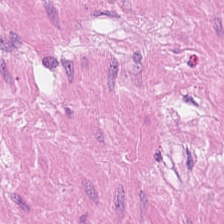H&E-stained tissue section · FFPE — Histology → muscularis.
